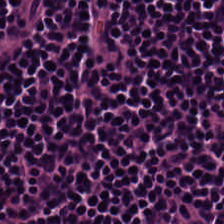Hematoxylin and eosin — Tissue = lymphocytic infiltrate.
